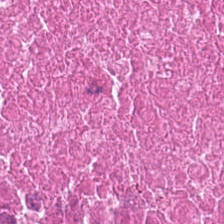Hematoxylin-and-eosin stained section · whole-slide-image patch.
{"tissue_type": "cellular debris"}
